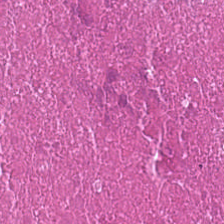Hematoxylin and eosin · 224×224 px patch — Showing necrotic debris.
